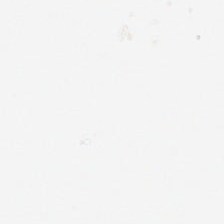Hematoxylin-and-eosin stained section · 20× equivalent magnification. The classification is empty background.
